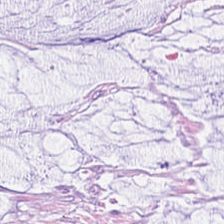Formalin-fixed paraffin-embedded section; hematoxylin-and-eosin stained section.
Tissue type: mucin.
